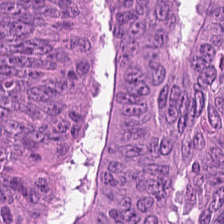WSI patch · hematoxylin-and-eosin stained section. {"tissue_type": "tumor epithelium"}
